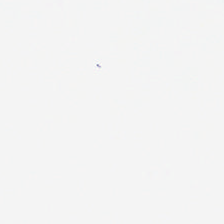Stain: H&E-stained tissue section.
Preparation: FFPE tissue section.
Field content: background (no tissue).
